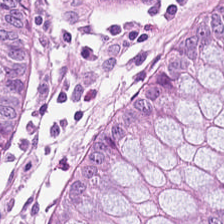Hematoxylin-and-eosin stained section. Whole-slide-image patch — {"tissue_type": "normal colon mucosa"}
